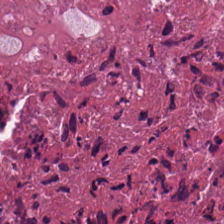Hematoxylin-and-eosin section: debris.
